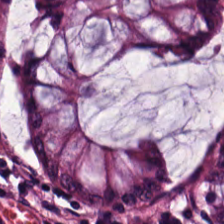Hematoxylin-and-eosin stained section.
The tissue is normal colonic mucosa.
